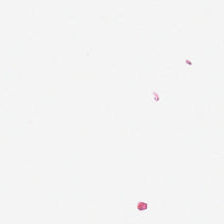Stain: hematoxylin and eosin.
Resolution: 20× equivalent magnification.
Preparation: formalin-fixed paraffin-embedded section.
Field content: background.
